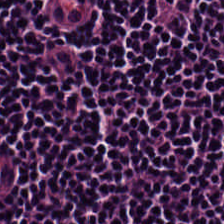0.5 µm per pixel · FFPE tissue section · H&E.
Impression — lymphoid infiltrate.
